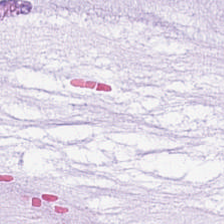This field is mucus.
